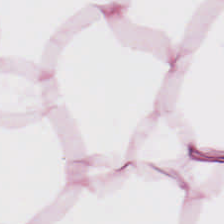Q: What is the predominant tissue type?
A: It is adipocytes.
